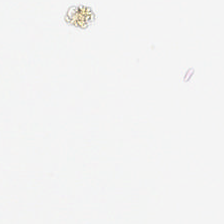Brightfield. Hematoxylin and eosin. 0.5 µm per pixel. The field content is no tissue.
